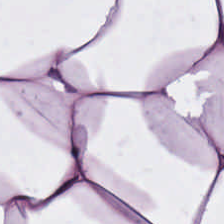WSI patch; 20× equivalent magnification; H&E.
This patch shows adipose tissue.
